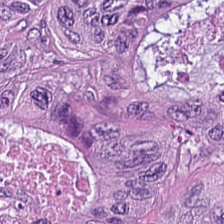Hematoxylin and eosin.
Tissue = colorectal adenocarcinoma.
